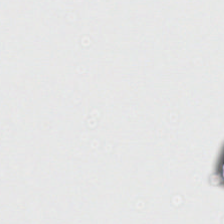This patch shows background.
